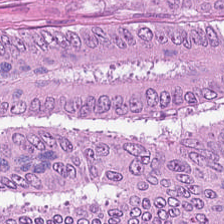H&E · whole-slide-image patch.
{"tissue_type": "malignant epithelium"}
